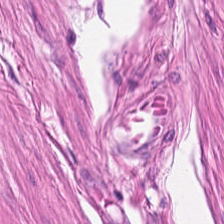H&E — Finding → smooth-muscle tissue.
